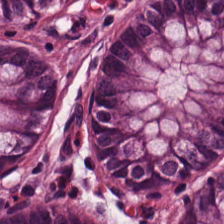H&E stain; formalin-fixed paraffin-embedded section.
The classification is benign colonic mucosa.
